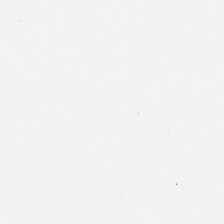Impression → empty background.
